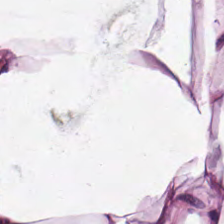H&E. Q: Classify this patch.
A: This is adipocytes.
